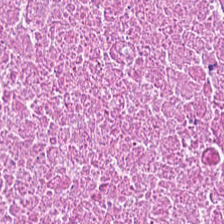Stain: H&E-stained tissue section.
Classification: cellular debris.
